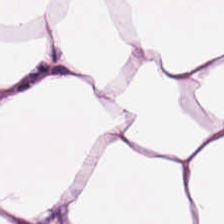Q: What tissue is shown?
A: Adipose tissue.
